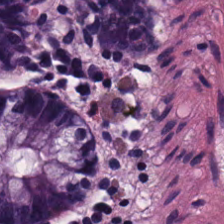Hematoxylin and eosin — Finding — non-neoplastic colon mucosa.
